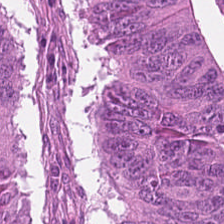H&E-stained tissue section showing malignant epithelium.
